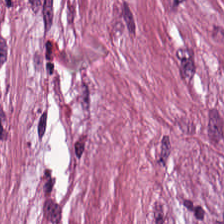H&E-stained tissue section; 224×224 pixel tile.
Q: What is shown in this field?
A: The field shows desmoplastic stroma.
